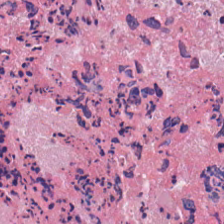H&E stain.
This patch shows debris.
